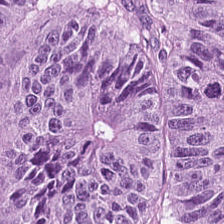H&E. Predominant tissue — tumor epithelium.
